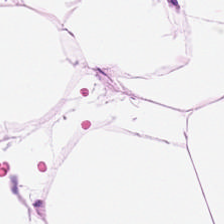Stain: H&E-stained tissue section.
Tissue type: adipose.
